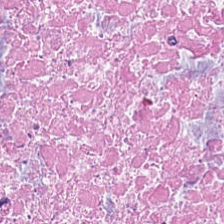Q: What is shown in this field?
A: The field shows cellular debris.
